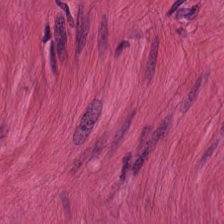Hematoxylin and eosin · brightfield. The tissue here is muscularis.
